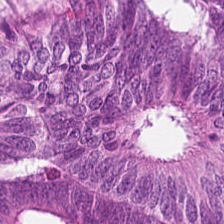Stain: H&E.
Acquisition: WSI patch.
Resolution: 20× equivalent magnification.
Classification: malignant epithelium.
